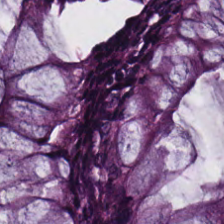Stain: hematoxylin-and-eosin stained section.
Tissue class: normal colon mucosa.
